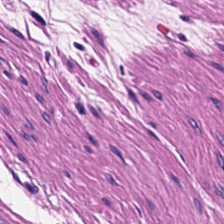H&E stain.
Classification: smooth-muscle tissue.
